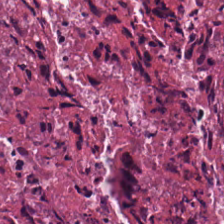Brightfield microscopy; formalin-fixed paraffin-embedded section; H&E. Q: What tissue type is shown here?
A: The field shows necrotic debris.
